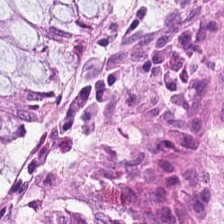H&E. 224×224 px patch — The predominant tissue is normal colon mucosa.
